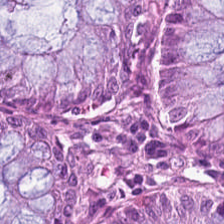H&E stain. 224×224 pixel tile — This patch shows normal colon mucosa.
